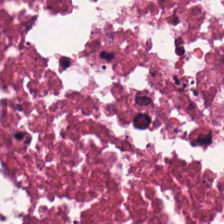H&E stain.
The tissue class is necrotic debris.
